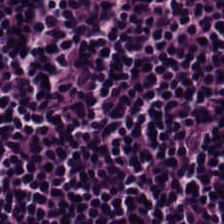Classification = lymphocyte aggregate.
